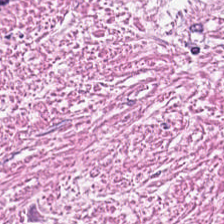Finding → tumor stroma.
